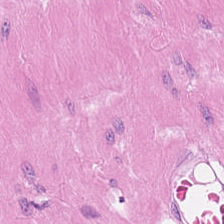H&E stain.
Classification — smooth muscle.
